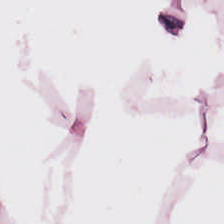Stain: hematoxylin-and-eosin stained section.
Preparation: FFPE tissue section.
Tissue type: adipose tissue.
